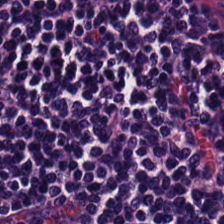Q: What does this patch show?
A: It is lymphocyte aggregate.
